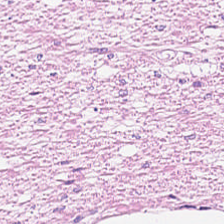Stain: H&E stain.
Tissue type: muscularis.
